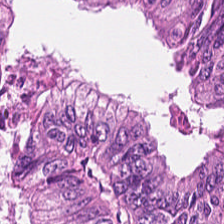H&E-stained tissue section — The predominant tissue is colorectal adenocarcinoma epithelium.
